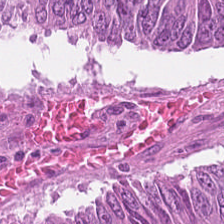Hematoxylin-and-eosin stained section — {"tissue_type": "tumor epithelium"}
